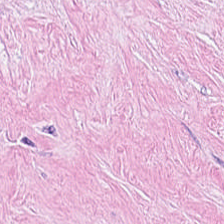Hematoxylin and eosin — Tissue = tumor stroma.
